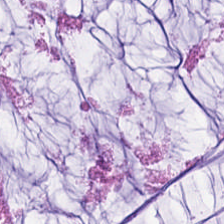H&E stain — This field is mucin.
